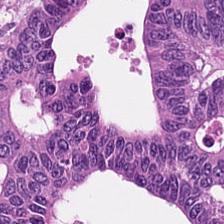H&E stain. This patch shows colorectal adenocarcinoma epithelium.
